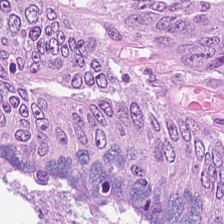224×224 px patch · H&E stain — Tissue type: tumor epithelium.
